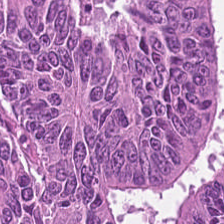Hematoxylin-and-eosin stained section — This patch shows colorectal adenocarcinoma.
